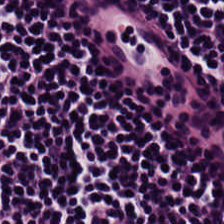H&E-stained tissue section; 0.5 µm/px — This patch shows lymphocyte aggregate.
